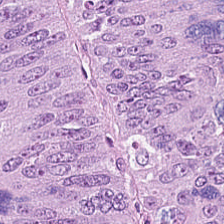Finding → tumor epithelium.
